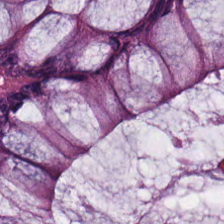Tissue type: benign colonic mucosa.
